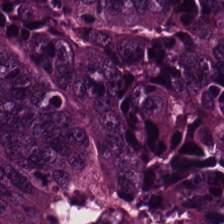H&E stain.
Impression — tumor epithelium.
